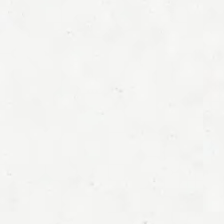Hematoxylin-and-eosin stained section — No tissue.
